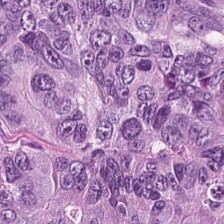Tissue type: adenocarcinoma.
